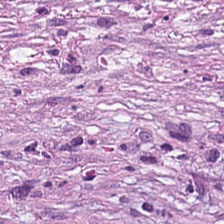Stain: H&E.
Tissue type: cancer-associated stroma.
